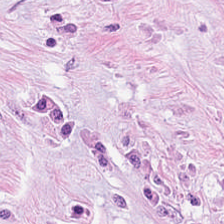H&E stain.
Desmoplastic stroma.
